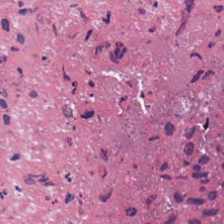H&E stain.
Predominantly cellular debris.
